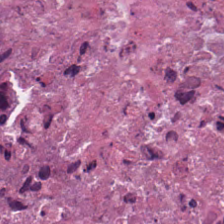Showing debris.
